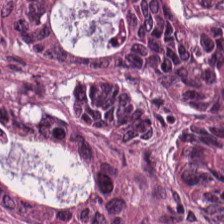Stain: H&E stain.
Acquisition: WSI patch.
Resolution: 20× equivalent magnification.
Tissue class: tumor epithelium.
